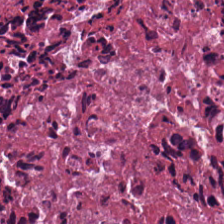FFPE tissue section; H&E stain.
Showing necrotic debris.
